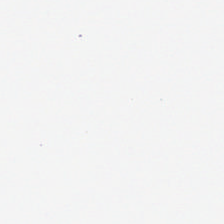H&E.
Impression — empty background.
